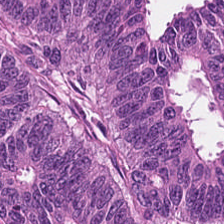Histology → tumor epithelium.
